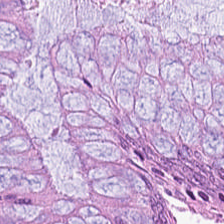H&E — Q: Classify this patch.
A: It is normal colon mucosa.
